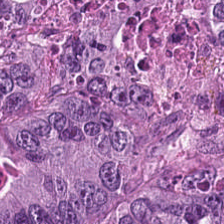Hematoxylin-and-eosin stained section.
This patch shows colorectal adenocarcinoma.
